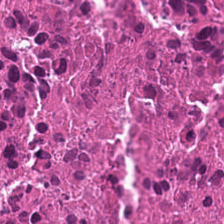Hematoxylin-and-eosin stained section.
Histology — cellular debris.
